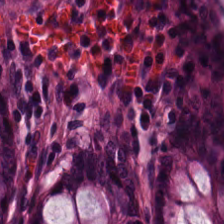Histology → benign colonic mucosa.
